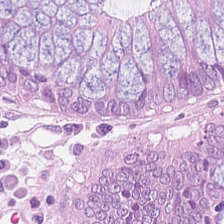Brightfield microscopy · formalin-fixed paraffin-embedded section · H&E. Impression → non-neoplastic colon mucosa.
